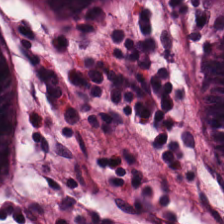Stain: H&E stain.
Tissue type: normal colonic mucosa.
